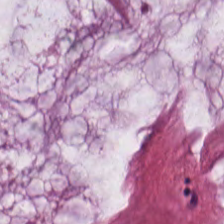H&E stain — Showing mucin.
